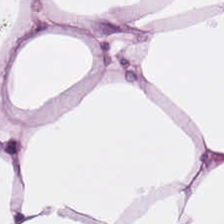Stain: H&E stain.
Tissue: fat tissue.
